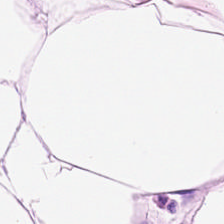Hematoxylin and eosin. This field is adipocytes.
